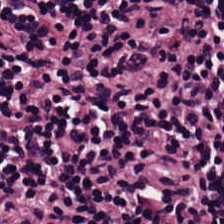Hematoxylin and eosin — This field is lymphoid infiltrate.
